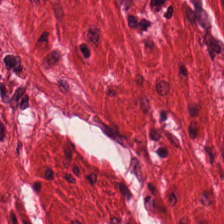H&E stain. Tissue — muscularis.
